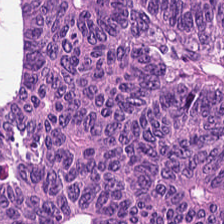Stain: hematoxylin and eosin.
Acquisition: brightfield microscopy.
Resolution: 0.5 µm/px.
Predominant tissue: colorectal adenocarcinoma.
